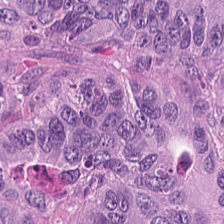H&E-stained tissue section; 20× equivalent magnification. Colorectal adenocarcinoma.
